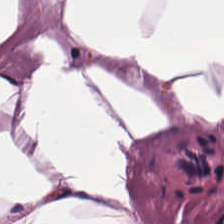H&E.
Histology → adipocytes.
